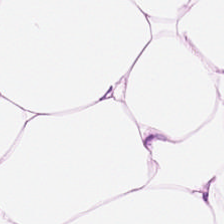The tissue class is adipose tissue.
